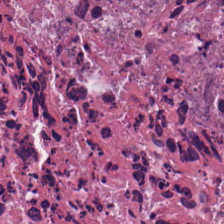H&E stain · whole-slide-image patch. The tissue here is debris.
